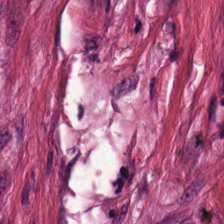Histology → cancer-associated stroma.
